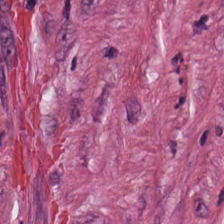Whole-slide-image patch · H&E. Classification: tumor-associated stroma.
